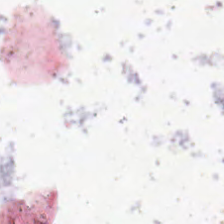WSI patch; H&E stain; FFPE tissue section.
Finding → background (no tissue).
